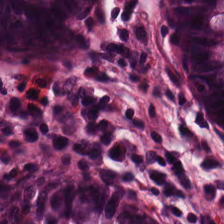224×224 px tile. H&E. Brightfield.
Q: What does this patch show?
A: Normal colonic mucosa.
